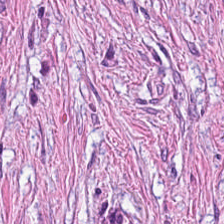20× equivalent magnification; hematoxylin-and-eosin stained section. Predominant tissue = tumor-associated stroma.
